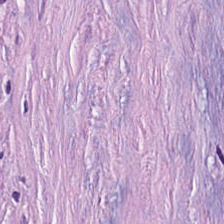H&E stain.
Predominantly tumor stroma.
